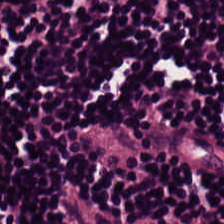H&E — The tissue here is lymphocytes.
